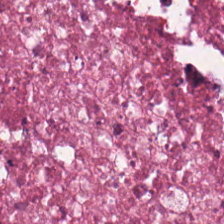H&E. Classification = cellular debris.
